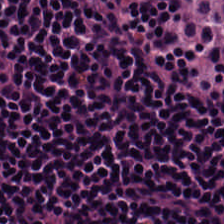Stain: H&E-stained tissue section.
Classification: lymphocytic infiltrate.
